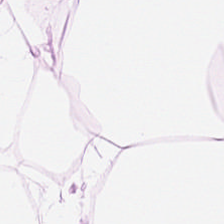FFPE tissue section. H&E — Predominantly adipose tissue.
